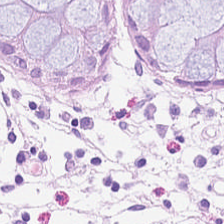Hematoxylin and eosin.
Tissue — normal colonic mucosa.
